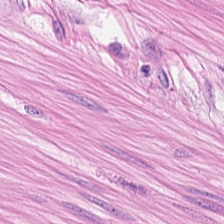H&E stain — Impression — muscularis.
